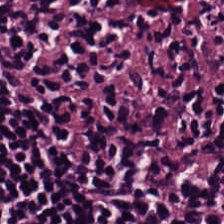Hematoxylin and eosin. Tissue type — lymphoid infiltrate.
